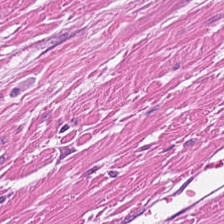H&E-stained tissue section · 224×224 px tile · FFPE tissue section. Q: What is shown here?
A: The field shows muscularis.
